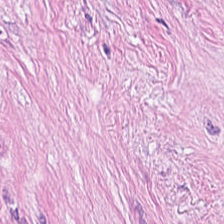FFPE; hematoxylin-and-eosin stained section.
The predominant tissue is desmoplastic stroma.
